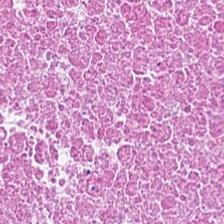Q: What type of tissue is this?
A: This is necrotic debris.
